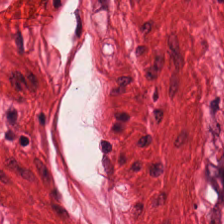H&E — muscularis.
